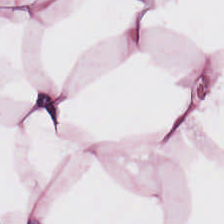Hematoxylin and eosin — Tissue type: adipose tissue.
